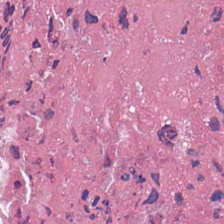Impression — cellular debris.
